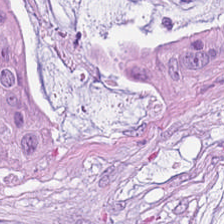0.5 µm per pixel; H&E stain; 224×224 pixel tile. Classification: extracellular mucin.
